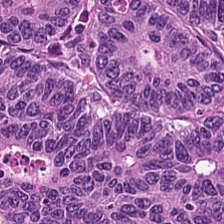Hematoxylin and eosin; 224×224 px patch; formalin-fixed paraffin-embedded section.
The tissue is colorectal adenocarcinoma.
